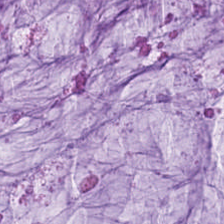H&E — Classification: mucus.
